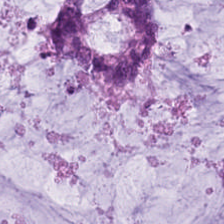20× equivalent magnification; H&E; formalin-fixed paraffin-embedded section.
Tissue type: mucin.
